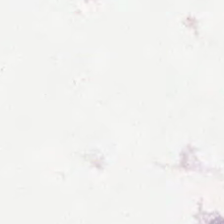H&E. The field content is no tissue.
